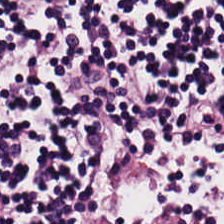20× equivalent magnification; brightfield microscopy; H&E-stained tissue section.
The tissue here is lymphocytes.
